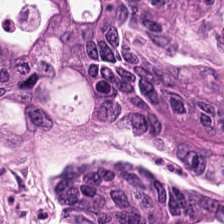H&E stain · brightfield microscopy · 224×224 pixel tile.
Tissue type: colorectal adenocarcinoma.
